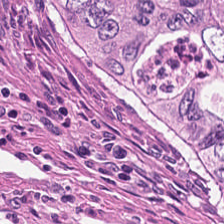Q: What does this patch show?
A: Cellular debris.
